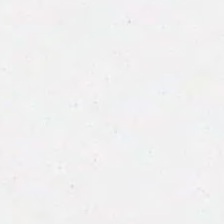H&E stain.
No tissue present; background only.
